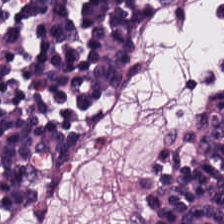Stain: H&E.
Tissue type: lymphoid infiltrate.
